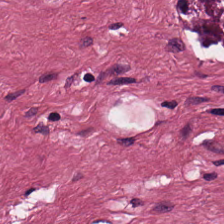H&E-stained tissue section. {"tissue_type": "cancer-associated stroma"}
